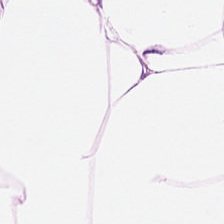0.5 µm/px; H&E.
This field is fat tissue.
